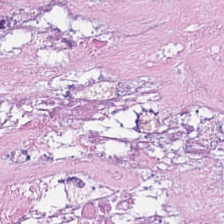H&E stain; 224×224 pixel tile.
The tissue is cellular debris.
